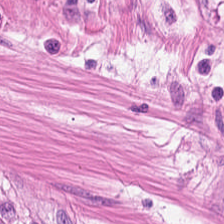Stain: H&E-stained tissue section.
Acquisition: WSI patch.
Preparation: formalin-fixed paraffin-embedded section.
Predominant tissue: smooth muscle.
